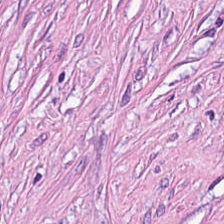Tissue type — tumor stroma.
